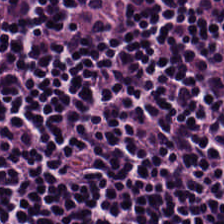H&E. Formalin-fixed paraffin-embedded section.
Finding — lymphocytes.
